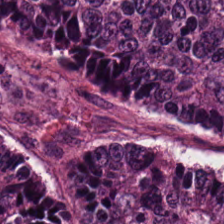H&E — Q: What tissue type is shown here?
A: The field shows malignant epithelium.
